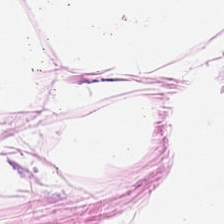Hematoxylin-and-eosin stained section · 20× equivalent magnification — Finding — fat tissue.
